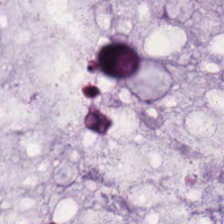H&E; formalin-fixed paraffin-embedded section.
Predominantly mucin.
